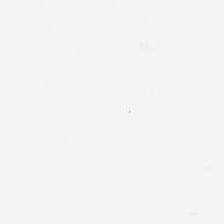224×224 px patch · H&E stain — This field is background (no tissue).
